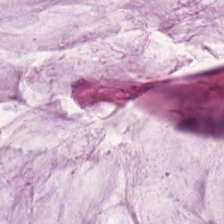Stain: hematoxylin-and-eosin stained section.
Preparation: FFPE.
Tissue: mucin.
